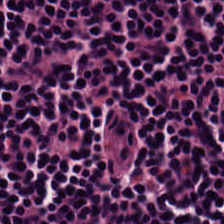Hematoxylin and eosin. FFPE. Q: What is shown in this field?
A: The field shows lymphoid infiltrate.
